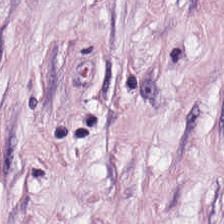H&E.
Predominant tissue = cancer-associated stroma.
